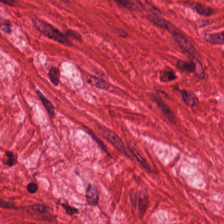Stain: hematoxylin and eosin.
Predominant tissue: muscularis.
